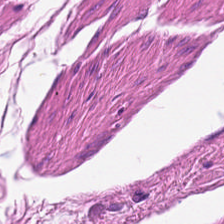Q: What does this patch show?
A: The field shows muscularis.
